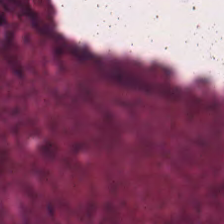Tissue: cellular debris.
